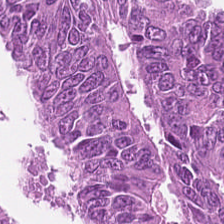H&E stain. Q: What type of tissue is this?
A: It is colorectal adenocarcinoma epithelium.
